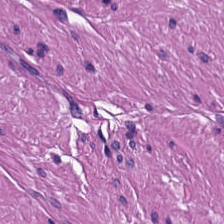Stain: hematoxylin and eosin.
Acquisition: whole-slide-image patch.
Tissue: muscularis.
